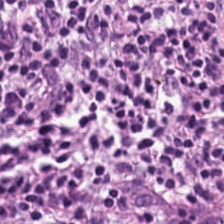0.5 µm per pixel. FFPE tissue section. H&E.
This field is lymphoid infiltrate.
